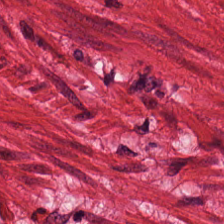Hematoxylin and eosin.
This field is muscularis.
